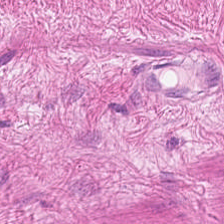Showing smooth-muscle tissue.
